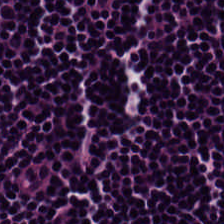H&E patch showing lymphoid infiltrate.
